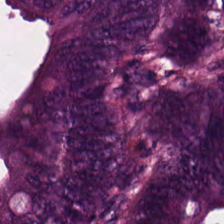Hematoxylin and eosin · brightfield. Predominant tissue — colorectal adenocarcinoma epithelium.
